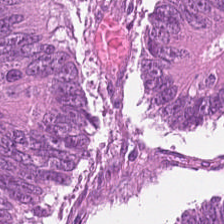Hematoxylin and eosin. 224×224 px tile. 0.5 microns per pixel — Tissue type: tumor epithelium.
